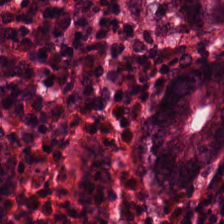H&E-stained tissue section · 224×224 px tile. {"tissue_type": "normal colonic mucosa"}
